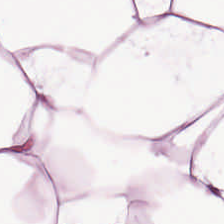H&E patch showing adipocytes.
